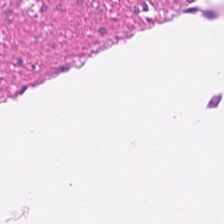FFPE · H&E stain · 0.5 microns per pixel. Impression → smooth-muscle tissue.
